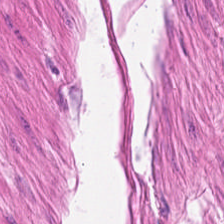224×224 px tile. H&E stain.
The tissue class is smooth muscle.
